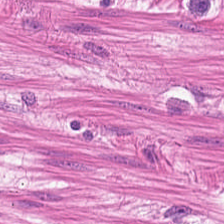H&E-stained tissue section · 0.5 µm per pixel · 224×224 pixel tile — Showing muscularis.
